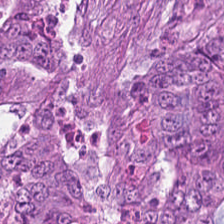H&E.
Impression — tumor epithelium.
